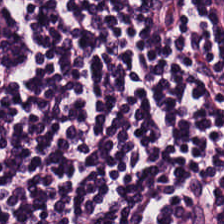WSI patch · H&E stain.
Histology → lymphocytes.
